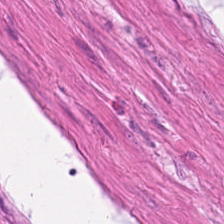Tissue = muscularis.
